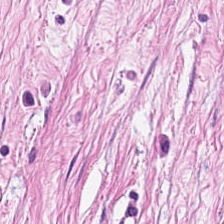H&E-stained tissue section — Tissue type = cancer-associated stroma.
